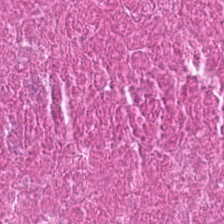FFPE tissue section; hematoxylin and eosin; 0.5 µm/px. Q: Identify the tissue.
A: This is debris.
